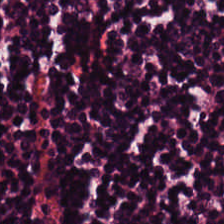0.5 microns per pixel. Hematoxylin-and-eosin stained section. Impression — lymphocytic infiltrate.
